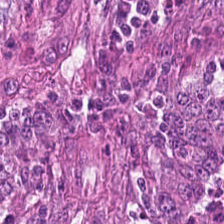H&E stain. Finding — malignant epithelium.
